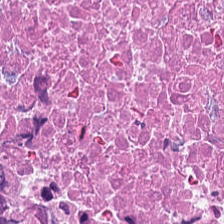WSI patch; FFPE tissue section; hematoxylin-and-eosin stained section. Showing debris.
